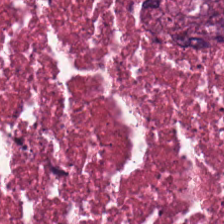Hematoxylin and eosin.
Predominant tissue: cellular debris.
